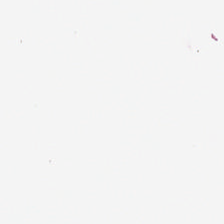Hematoxylin and eosin.
Classification: no tissue.
